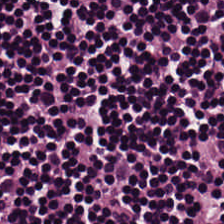0.5 µm per pixel · FFPE · H&E.
Classification = lymphoid infiltrate.
